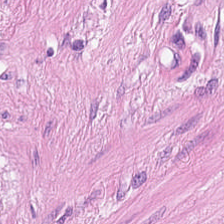Tissue type — smooth muscle.
